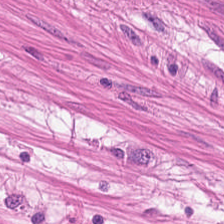Hematoxylin-and-eosin stained section · 20× equivalent magnification.
Q: What tissue is shown?
A: The field shows smooth-muscle tissue.
